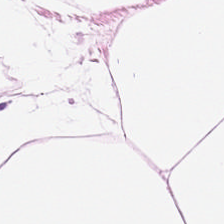H&E stain; formalin-fixed paraffin-embedded section. Impression — fat tissue.
